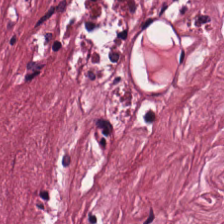224×224 px tile · hematoxylin-and-eosin stained section — Q: Identify the tissue.
A: This is tumor stroma.
